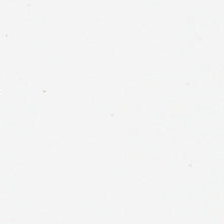Stain: H&E.
Content: no tissue.
